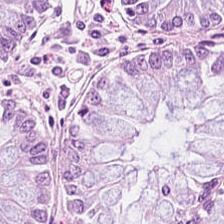H&E — Showing normal colon mucosa.
